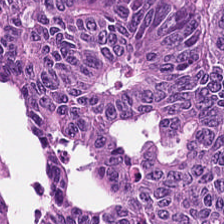H&E-stained tissue section; FFPE.
Histology → tumor epithelium.
